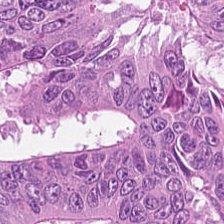H&E-stained tissue section. Brightfield — Predominant tissue = adenocarcinoma.
